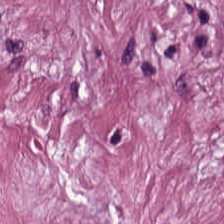Whole-slide-image patch · 0.5 µm per pixel · H&E — {"tissue_type": "tumor stroma"}
